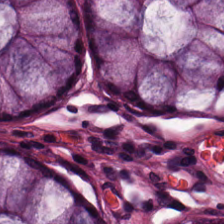Hematoxylin-and-eosin stained section. 0.5 µm per pixel. 224×224 pixel tile.
Q: What is the predominant tissue type?
A: Normal colon mucosa.
